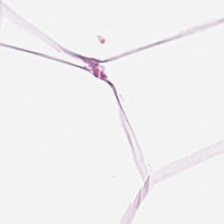H&E. {"tissue_type": "adipose tissue"}
